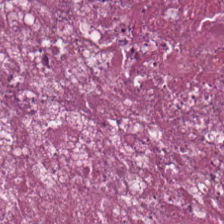224×224 pixel tile. H&E stain.
The predominant tissue is cellular debris.
